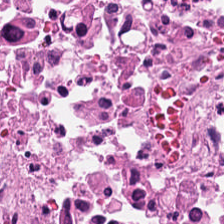H&E-stained tissue section · 0.5 microns per pixel · FFPE tissue section — The classification is necrotic debris.
